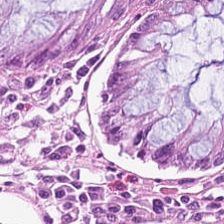WSI patch; hematoxylin and eosin.
{"tissue_type": "normal colonic mucosa"}
